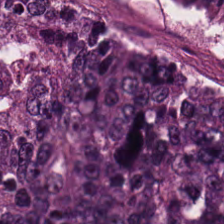Hematoxylin and eosin. The tissue here is adenocarcinoma.
